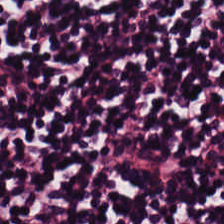Hematoxylin-and-eosin stained section · brightfield microscopy.
Tissue type — lymphoid infiltrate.
